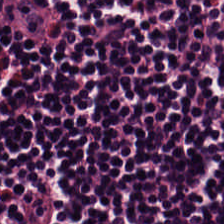Histology — lymphoid infiltrate.
